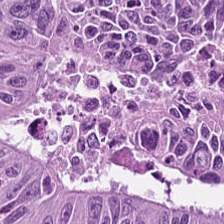WSI patch; H&E stain. Classification: adenocarcinoma.
